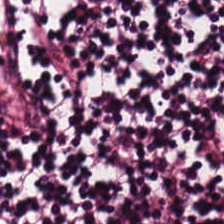Hematoxylin-and-eosin stained section. The tissue here is lymphocyte aggregate.
